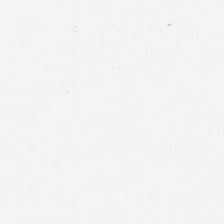H&E stain. Classification — background.
